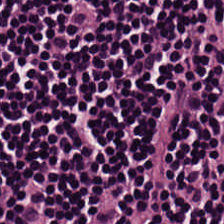H&E stain. Showing lymphocyte aggregate.
